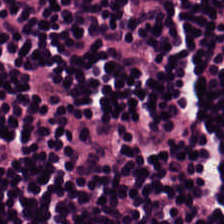Hematoxylin-and-eosin stained section. Lymphocytes.
